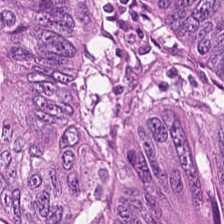Hematoxylin-and-eosin stained section. The tissue is adenocarcinoma.
